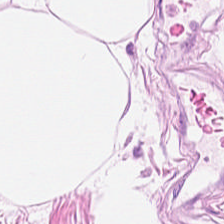H&E stain. Showing fat tissue.
